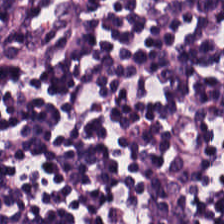Q: What tissue type is shown here?
A: Lymphocyte aggregate.
